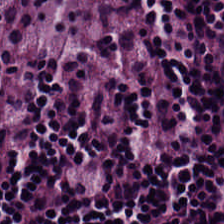224×224 pixel tile; FFPE; H&E. The predominant tissue is lymphoid infiltrate.
